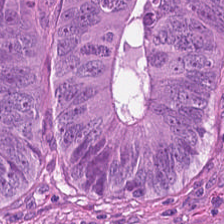H&E stain. Whole-slide-image patch. The predominant tissue is tumor epithelium.
